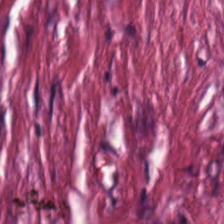Q: What does this patch show?
A: Cancer-associated stroma.
